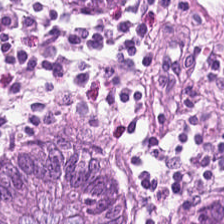The tissue here is normal colon mucosa.
